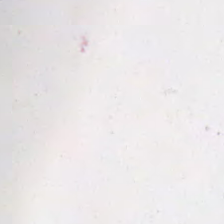H&E stain — Q: What is shown in this field?
A: The field shows no tissue.
